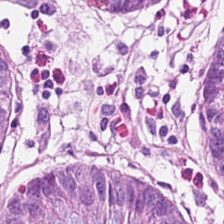H&E-stained tissue section. This field is non-neoplastic colon mucosa.
